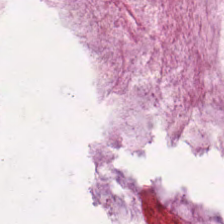224×224 px tile. H&E-stained tissue section. Showing mucus.
